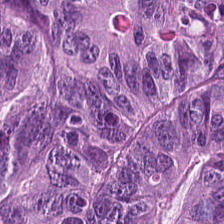224×224 px tile. Hematoxylin-and-eosin stained section. Brightfield — Q: Classify this patch.
A: Malignant epithelium.
